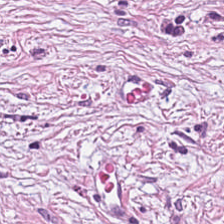Showing cancer-associated stroma.
